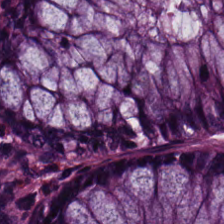H&E stain — Benign colonic mucosa.
